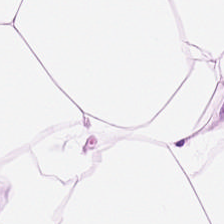224×224 px tile · H&E.
Tissue = fat tissue.
